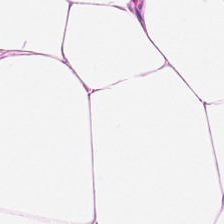Tissue type — adipocytes.
